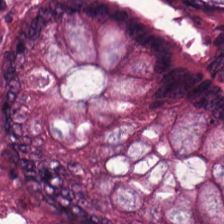H&E. The classification is non-neoplastic colon mucosa.
